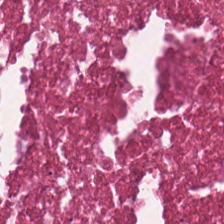Stain: H&E stain.
Tissue class: necrotic debris.
